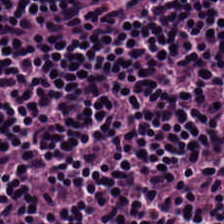Hematoxylin and eosin — Finding — lymphocytes.
